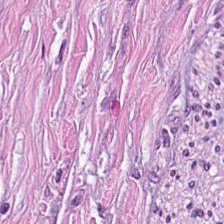Stain: H&E.
Preparation: FFPE tissue section.
Classification: desmoplastic stroma.
